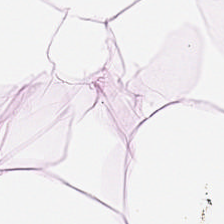FFPE; hematoxylin-and-eosin stained section; 20× equivalent magnification. Tissue type — adipose.
